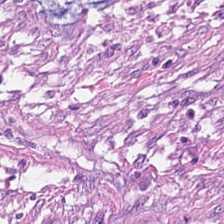H&E. Q: Identify the tissue.
A: Cancer-associated stroma.
